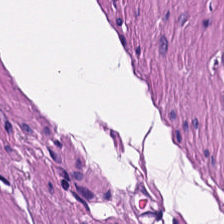H&E; 224×224 px tile. Showing muscularis.
